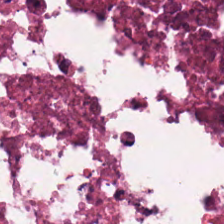224×224 pixel tile · H&E stain · brightfield. Q: Classify this patch.
A: The field shows debris.
